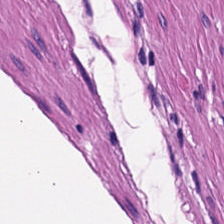H&E-stained tissue section.
Impression — muscularis.
